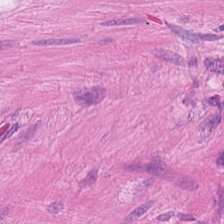H&E stain — Q: What type of tissue is this?
A: Muscularis.
